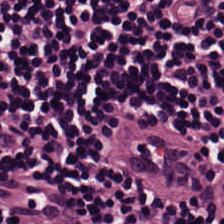H&E stain. Histology — lymphocytes.
